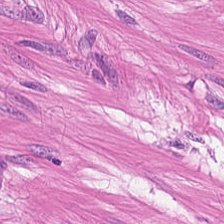H&E · 0.5 microns per pixel.
{"tissue_type": "muscularis"}
